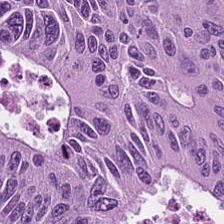Brightfield microscopy; H&E-stained tissue section. Classification = colorectal adenocarcinoma epithelium.
